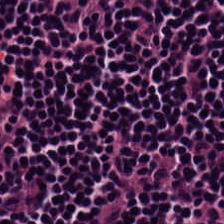H&E.
Tissue type = lymphocytes.
